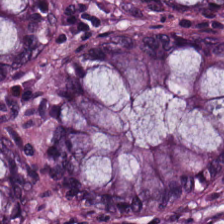FFPE. H&E stain — Q: What tissue is shown?
A: It is normal colon mucosa.
